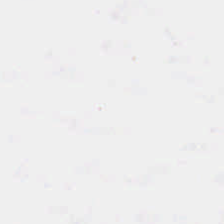224×224 px tile. Formalin-fixed paraffin-embedded section. Hematoxylin and eosin — Impression — background (no tissue).
